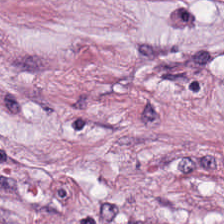Hematoxylin and eosin.
Desmoplastic stroma.
